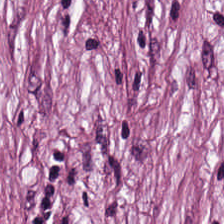H&E-stained section; the field shows tumor stroma.
